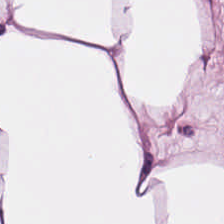Hematoxylin-and-eosin stained section. The tissue here is adipose.
